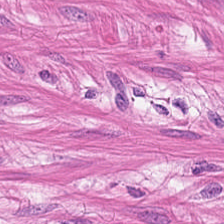Tissue: smooth-muscle tissue.
